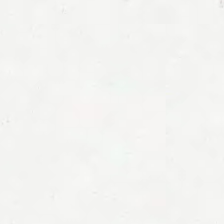Stain: H&E stain.
Field content: background.
